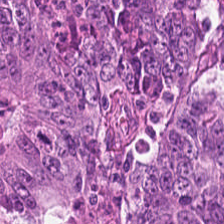Hematoxylin and eosin — Colorectal adenocarcinoma.
